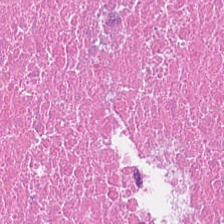H&E; 0.5 µm per pixel.
Tissue = necrotic debris.
